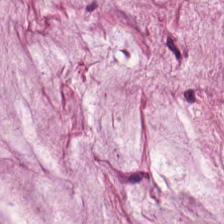Finding → extracellular mucin.
